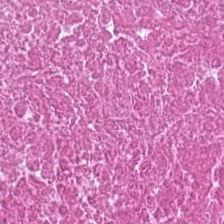Finding → necrotic debris.
